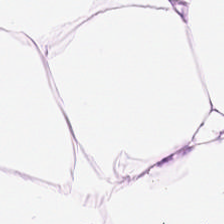H&E-stained tissue section.
Classification — adipose.
